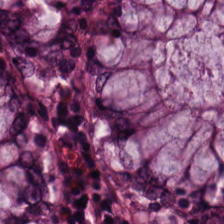Q: What tissue type is shown here?
A: The field shows normal colon mucosa.
